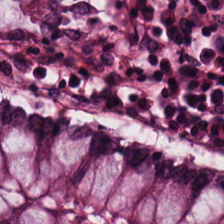Finding → normal colon mucosa.
